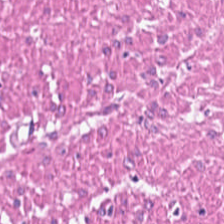{"tissue_type": "smooth muscle"}
